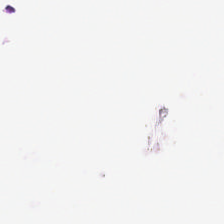224×224 pixel tile · hematoxylin-and-eosin stained section · formalin-fixed paraffin-embedded section.
Empty field — background (no tissue).
